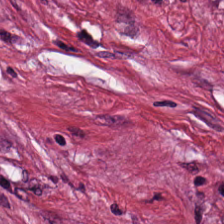Hematoxylin-and-eosin stained section.
Classification: desmoplastic stroma.
